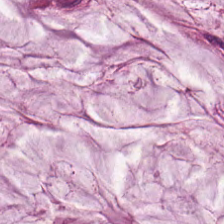{"tissue_type": "mucus"}
